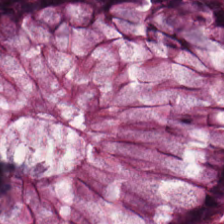Hematoxylin-and-eosin stained section — Normal colon mucosa.
